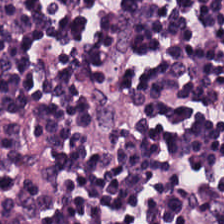Stain: hematoxylin-and-eosin stained section.
Classification: lymphocytes.
